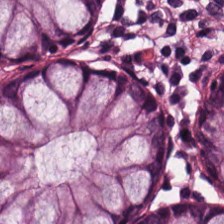Predominant tissue: normal colon mucosa.
